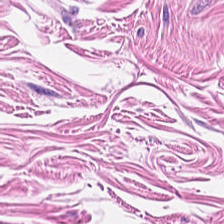{"tissue_type": "smooth muscle"}
